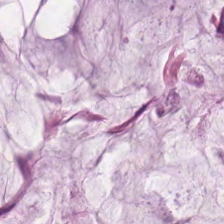H&E. The tissue here is mucin.
